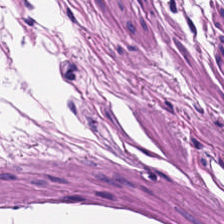Hematoxylin and eosin.
Showing muscularis.
